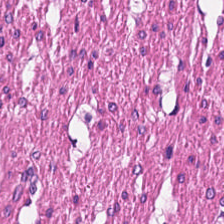Impression → smooth-muscle tissue.
